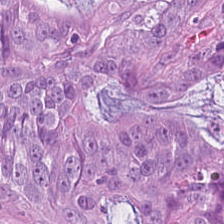20× equivalent magnification; H&E — The tissue here is adenocarcinoma.
